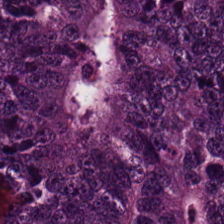H&E patch showing tumor epithelium.
